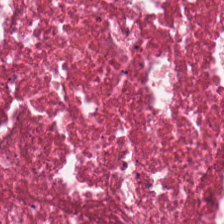H&E stain · FFPE tissue section. Necrotic debris.
